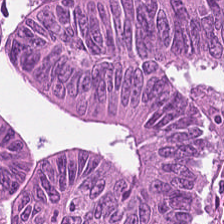Stain: hematoxylin-and-eosin stained section.
Acquisition: brightfield.
Tile size: 224×224 px patch.
Tissue: tumor epithelium.
